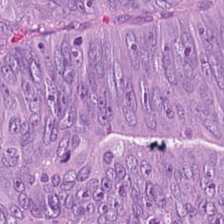Hematoxylin and eosin; 224×224 px patch.
Tumor epithelium.
